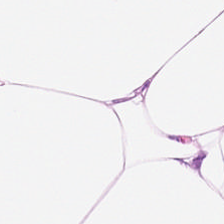H&E-stained section; the field shows fat tissue.
